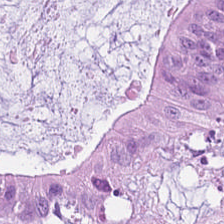H&E stain; 0.5 µm per pixel.
Predominantly mucus.
